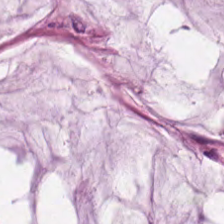Hematoxylin and eosin. 224×224 pixel tile. Brightfield — Showing extracellular mucin.
